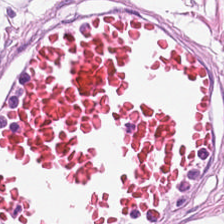0.5 microns per pixel. Hematoxylin-and-eosin stained section. Showing fat tissue.
